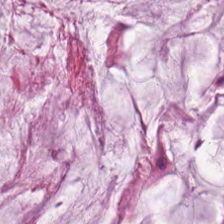Classification — mucin.
